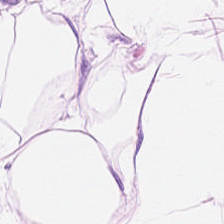H&E — The tissue here is adipocytes.
